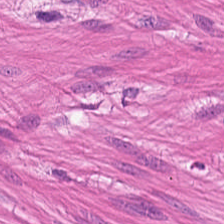H&E patch showing smooth-muscle tissue.
